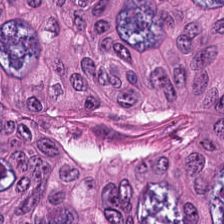Hematoxylin and eosin. 224×224 px patch. Brightfield microscopy.
Tissue type: tumor epithelium.
